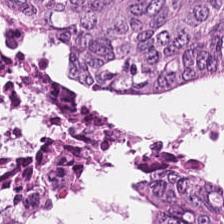Predominantly tumor epithelium.
